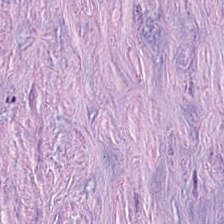The predominant tissue is tumor stroma.
